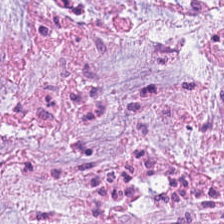Tissue type — tumor-associated stroma.
